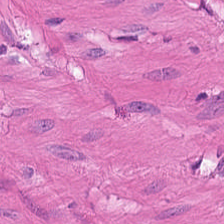H&E stain; WSI patch. Q: What type of tissue is this?
A: It is muscularis.
